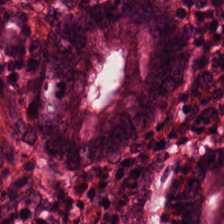Formalin-fixed paraffin-embedded section; H&E-stained tissue section.
Predominantly normal colon mucosa.
